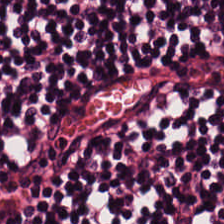H&E-stained tissue section. The predominant tissue is lymphocyte aggregate.
